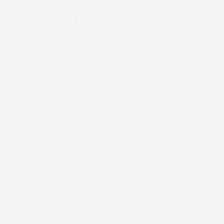Impression — background (no tissue).
